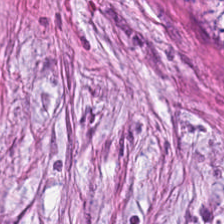H&E-stained tissue section — Showing tumor stroma.
